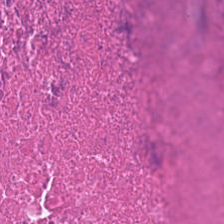Brightfield microscopy · H&E.
Predominantly cellular debris.
